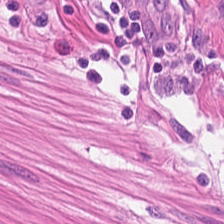The tissue is muscularis.
